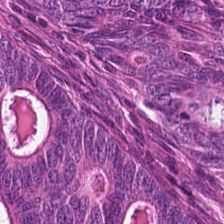Predominantly malignant epithelium.
